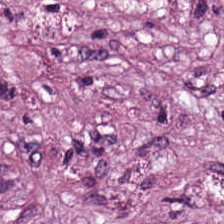Hematoxylin-and-eosin stained section.
Impression — cancer-associated stroma.
